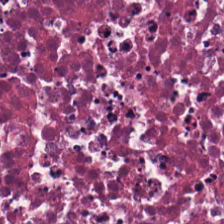H&E stain · 224×224 px tile.
Histology — cellular debris.
